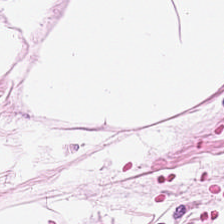Stain: H&E-stained tissue section.
Tissue type: adipocytes.
